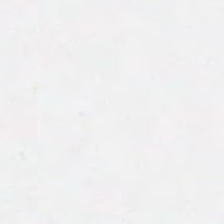224×224 px tile; H&E-stained tissue section.
This field is background (no tissue).
